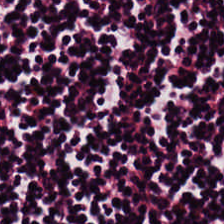Hematoxylin and eosin; brightfield microscopy.
Q: What is the predominant tissue type?
A: Lymphocytes.
